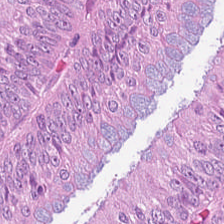Tissue class: colorectal adenocarcinoma.
